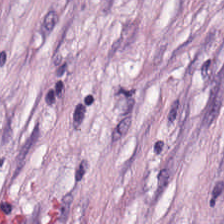Hematoxylin-and-eosin stained section.
This field is cancer-associated stroma.
